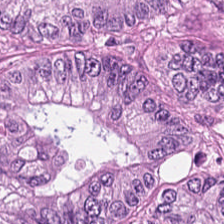H&E.
This field is colorectal adenocarcinoma epithelium.
